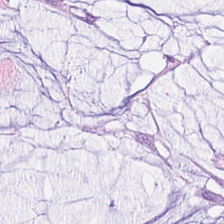224×224 pixel tile · H&E — Tissue type = extracellular mucin.
